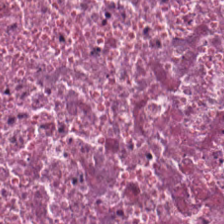0.5 µm per pixel. Hematoxylin-and-eosin stained section. Q: What is the predominant tissue type?
A: The field shows debris.
